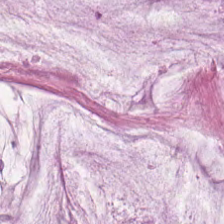H&E · WSI patch — Predominantly mucus.
